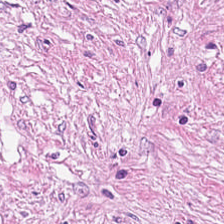Stain: H&E stain.
Tissue class: tumor-associated stroma.
